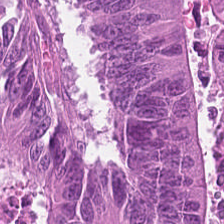WSI patch · hematoxylin-and-eosin stained section · FFPE. Q: Classify this patch.
A: Adenocarcinoma.
